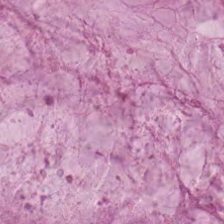Hematoxylin and eosin — Finding — extracellular mucin.
